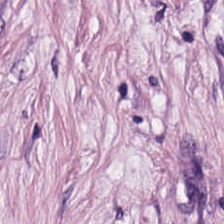{"tissue_type": "desmoplastic stroma"}
